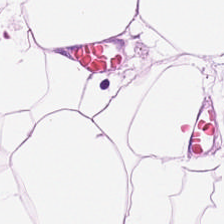Q: What tissue type is shown here?
A: It is adipose.
